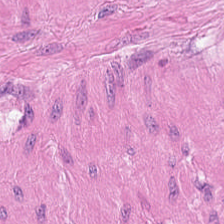H&E; whole-slide-image patch — Showing smooth-muscle tissue.
